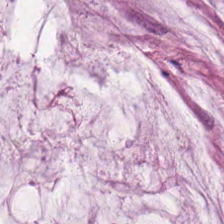Hematoxylin-and-eosin stained section. Brightfield. Tissue class: mucin.
